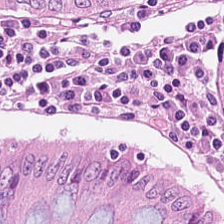Hematoxylin-and-eosin stained section.
This patch shows normal colon mucosa.
